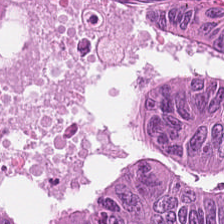Hematoxylin-and-eosin stained section · 224×224 px patch. Predominant tissue = malignant epithelium.
